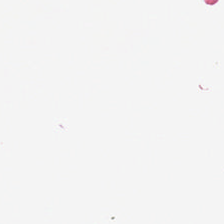WSI patch; hematoxylin and eosin — Background — no tissue in this field.
